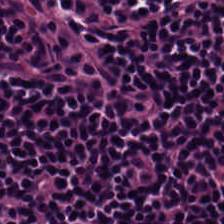H&E stain. Showing lymphocyte aggregate.
